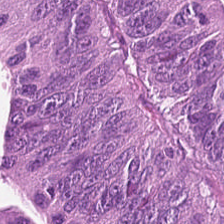Brightfield. H&E stain.
Showing malignant epithelium.
